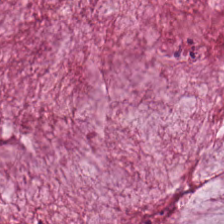Stain: hematoxylin-and-eosin stained section.
Tissue: extracellular mucin.
